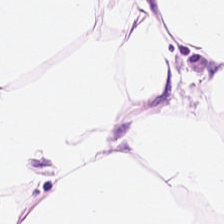H&E stain.
Q: What tissue is shown?
A: This is adipocytes.
